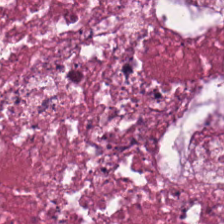H&E — Histology → debris.
